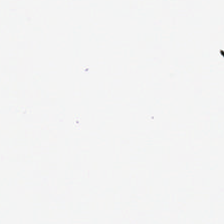Brightfield; H&E; formalin-fixed paraffin-embedded section — Q: What does this patch show?
A: It is background.
